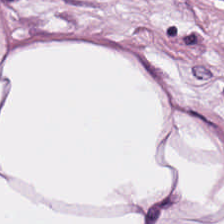H&E; 224×224 px tile; 0.5 µm/px.
The tissue type is adipose tissue.
